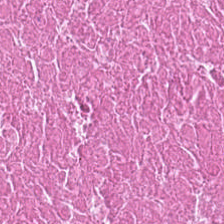224×224 pixel tile; H&E-stained tissue section; brightfield — The tissue here is cellular debris.
